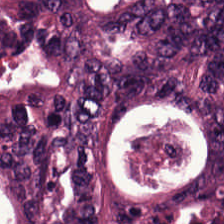224×224 pixel tile · H&E stain — This field is colorectal adenocarcinoma epithelium.
